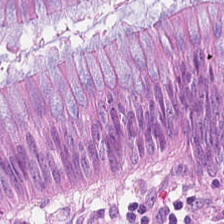The tissue is tumor epithelium.
